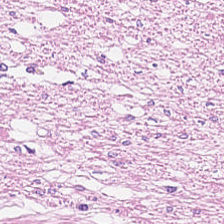Hematoxylin-and-eosin stained section.
Tissue: smooth muscle.
